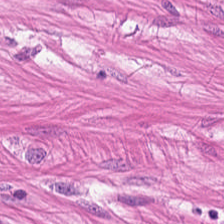H&E-stained tissue section.
Tissue class: smooth-muscle tissue.
